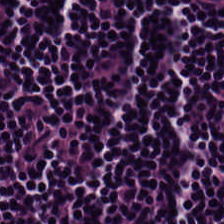Predominant tissue — lymphoid infiltrate.
